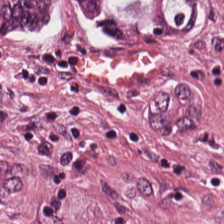H&E-stained tissue section. The tissue here is colorectal adenocarcinoma epithelium.
